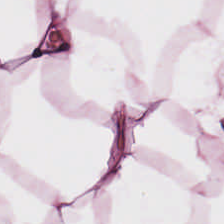Tissue type: adipose.
